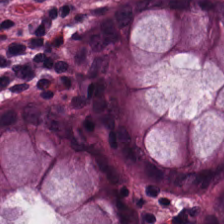H&E — normal colonic mucosa.
